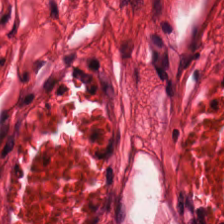H&E-stained tissue section — Muscularis.
